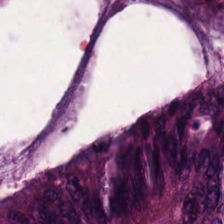Tissue — colorectal adenocarcinoma.
